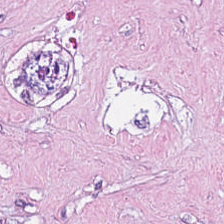Stain: H&E.
Tissue class: cellular debris.
